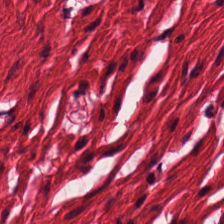Hematoxylin-and-eosin stained section.
This field is smooth-muscle tissue.
